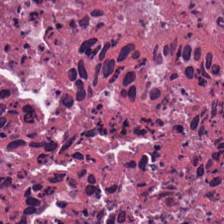H&E-stained tissue section.
Predominant tissue: necrotic debris.
